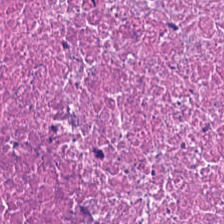Cellular debris.
